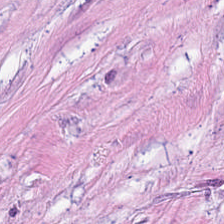Hematoxylin-and-eosin stained section — Impression — cancer-associated stroma.
